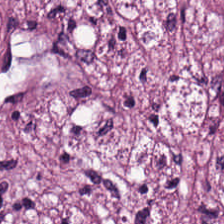Hematoxylin and eosin. Showing tumor stroma.
